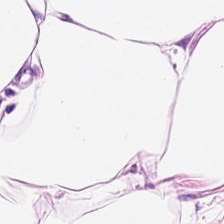Stain: H&E.
Classification: adipose.
